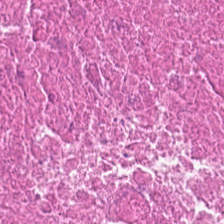H&E stain; 224×224 px patch.
This patch shows cellular debris.
